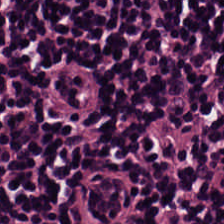H&E stain · brightfield · FFPE — The predominant tissue is lymphoid infiltrate.
